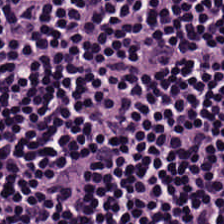Classification — lymphoid infiltrate.
